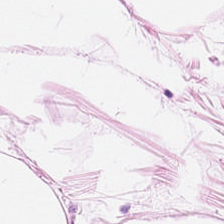Hematoxylin-and-eosin stained section. This field is fat tissue.
